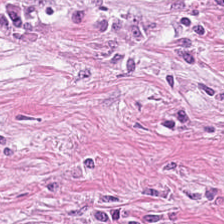0.5 µm per pixel; H&E — Finding — tumor-associated stroma.
